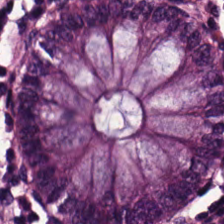Stain: hematoxylin-and-eosin stained section.
Tissue: benign colonic mucosa.
